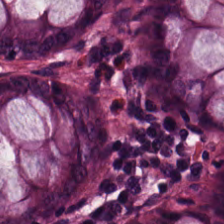Hematoxylin-and-eosin stained section. 20× equivalent magnification. This field is normal colonic mucosa.
